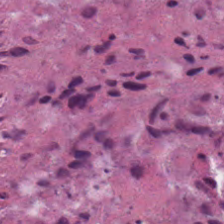FFPE; hematoxylin and eosin. Predominant tissue — necrotic debris.
